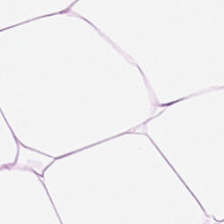Brightfield · hematoxylin and eosin — Q: Classify this patch.
A: This is adipocytes.
